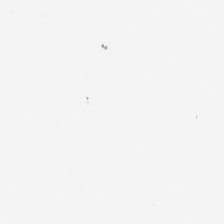H&E-stained tissue section. Empty field — no tissue.
